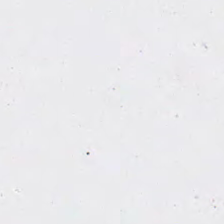H&E stain; formalin-fixed paraffin-embedded section — Q: Classify this patch.
A: This is background (no tissue).
